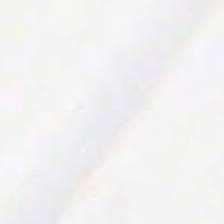H&E stain — Field content: empty background.
